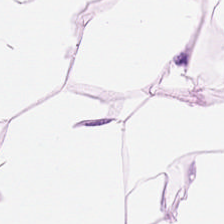H&E — fat tissue.
